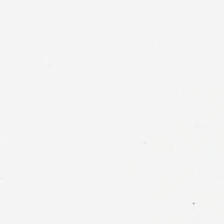H&E-stained tissue section; FFPE tissue section; brightfield microscopy.
Background.
